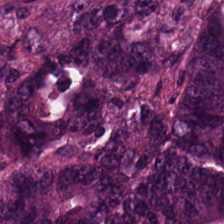Hematoxylin-and-eosin stained section.
Tissue type = colorectal adenocarcinoma.
